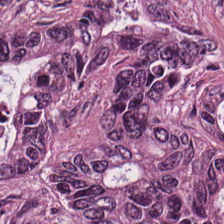H&E.
Histology → tumor epithelium.
